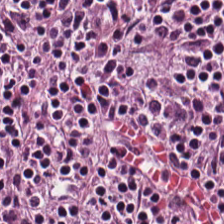224×224 px tile; hematoxylin-and-eosin stained section; 20× equivalent magnification.
Tissue class: lymphoid infiltrate.
